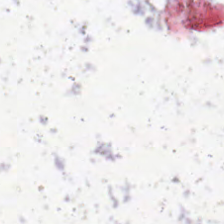Hematoxylin-and-eosin stained section.
Background (no tissue).
